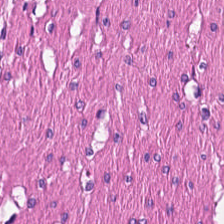H&E stain.
Histology → muscularis.
